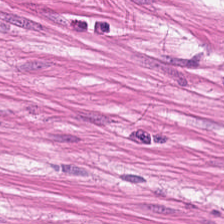H&E stain. Histology → smooth-muscle tissue.
